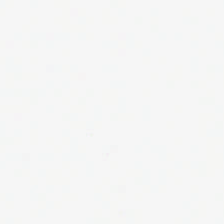H&E · brightfield microscopy.
{"content": "empty background"}
